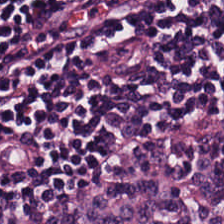H&E. Q: Classify this patch.
A: Lymphocyte aggregate.
